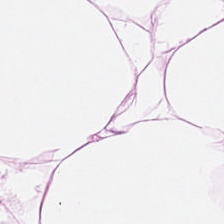20× equivalent magnification; hematoxylin and eosin — This field is fat tissue.
